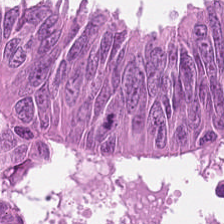Hematoxylin-and-eosin stained section — This patch shows malignant epithelium.
